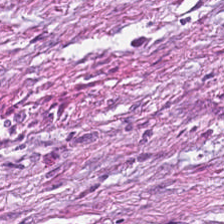20× equivalent magnification; formalin-fixed paraffin-embedded section; H&E-stained tissue section.
Q: What is the predominant tissue type?
A: Cancer-associated stroma.
